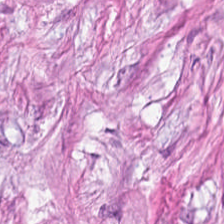Hematoxylin and eosin; WSI patch; FFPE tissue section — The predominant tissue is cancer-associated stroma.
